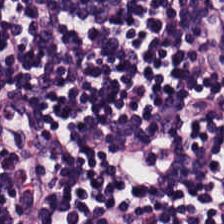H&E-stained tissue section showing lymphocytes.
